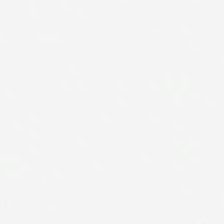This patch shows empty background.
